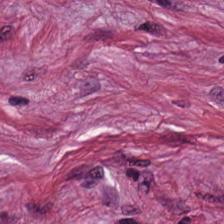Hematoxylin and eosin — Desmoplastic stroma.
